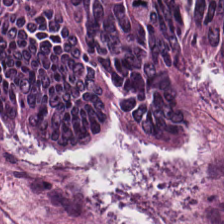H&E-stained tissue section — This field is colorectal adenocarcinoma.
